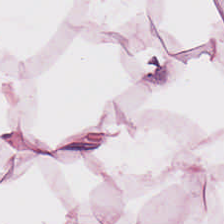Adipose.
